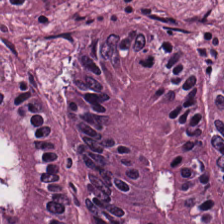Hematoxylin-and-eosin stained section.
Tumor epithelium.
